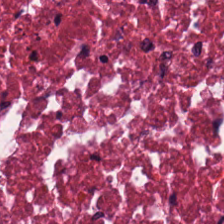Stain: H&E-stained tissue section.
Predominant tissue: debris.
